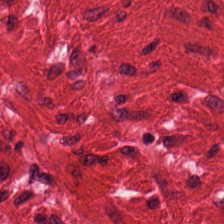Stain: H&E stain.
Tissue class: smooth-muscle tissue.
